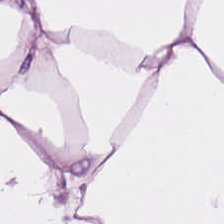H&E stain; 224×224 px tile. The predominant tissue is fat tissue.
